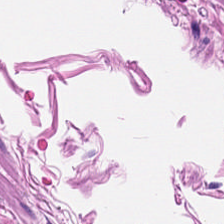H&E. Smooth-muscle tissue.
